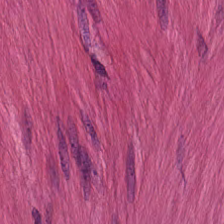Hematoxylin and eosin; 224×224 px patch.
Classification: muscularis.
